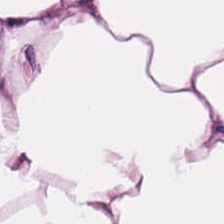H&E-stained tissue section — {"tissue_type": "adipose tissue"}
